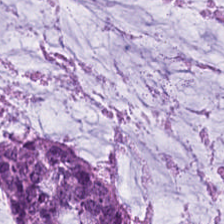Stain: H&E stain.
Preparation: FFPE tissue section.
Tissue: mucin.
